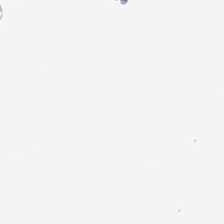This field is background (no tissue).
